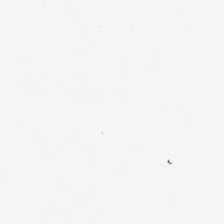224×224 pixel tile; H&E stain; FFPE tissue section — {"content": "no tissue"}
